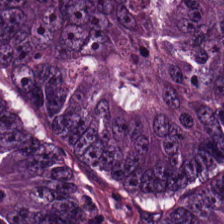H&E stain.
Finding → malignant epithelium.
